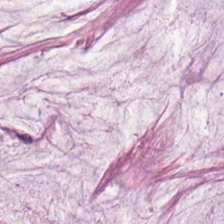Hematoxylin-and-eosin stained section — Showing extracellular mucin.
